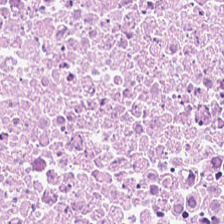H&E. The predominant tissue is debris.
